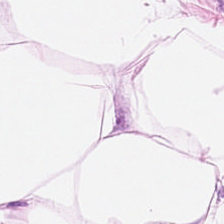H&E-stained tissue section.
Predominant tissue: fat tissue.
